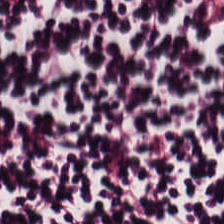Hematoxylin and eosin. Predominantly lymphocytic infiltrate.
